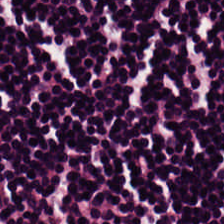H&E — Predominantly lymphoid infiltrate.
